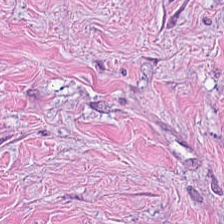Hematoxylin-and-eosin stained section; FFPE tissue section.
The tissue here is tumor stroma.
